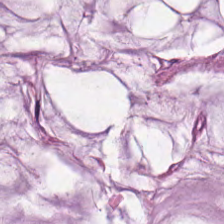H&E. This patch shows mucus.
